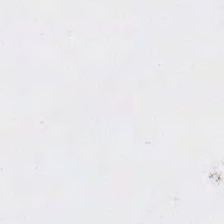20× equivalent magnification; H&E — Empty field — background.
